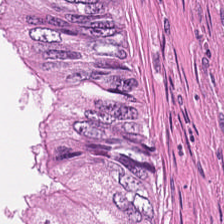224×224 px patch; H&E. Classification = debris.
